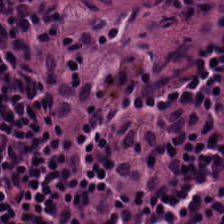224×224 pixel tile. Formalin-fixed paraffin-embedded section. Hematoxylin-and-eosin stained section. Q: What does this patch show?
A: The field shows lymphocyte aggregate.
